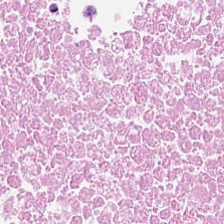Stain: hematoxylin-and-eosin stained section.
Tissue type: debris.
